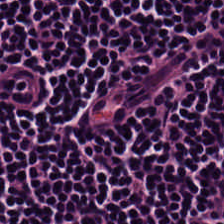FFPE · hematoxylin-and-eosin stained section. Q: What is the predominant tissue type?
A: This is lymphoid infiltrate.
